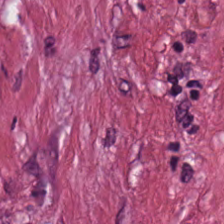Hematoxylin-and-eosin stained section · FFPE tissue section.
Showing tumor-associated stroma.
